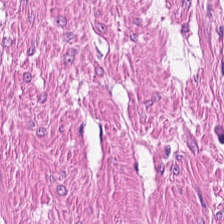Hematoxylin-and-eosin stained section · WSI patch.
Q: What tissue type is shown here?
A: The field shows smooth muscle.
